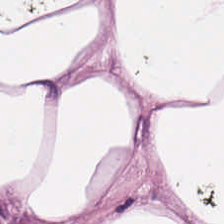H&E.
Q: What is the predominant tissue type?
A: The field shows adipose tissue.
